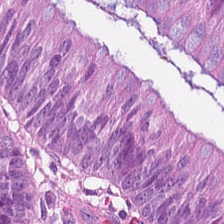H&E-stained tissue section · FFPE tissue section.
{"tissue_type": "adenocarcinoma"}
